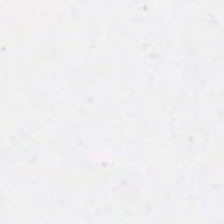Finding — background (no tissue).
